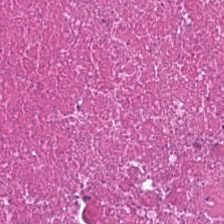Predominant tissue = debris.
